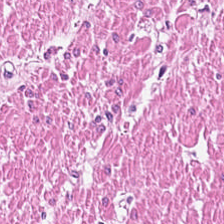224×224 px patch. Formalin-fixed paraffin-embedded section. H&E-stained tissue section. Predominant tissue: muscularis.
